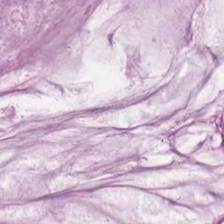Hematoxylin-and-eosin stained section — The tissue here is mucus.
